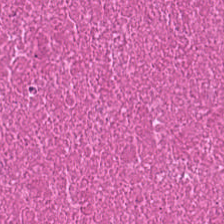H&E-stained tissue section.
Tissue: cellular debris.
